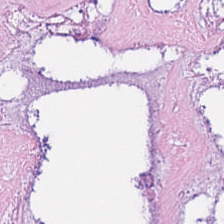H&E stain. Necrotic debris.
